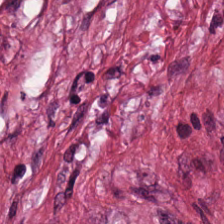Hematoxylin and eosin.
Showing desmoplastic stroma.
